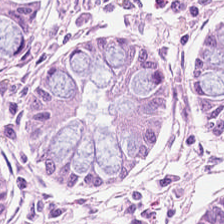H&E. Benign colonic mucosa.
